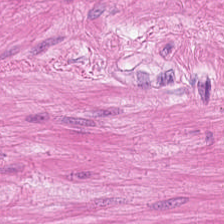H&E stain — {"tissue_type": "muscularis"}
